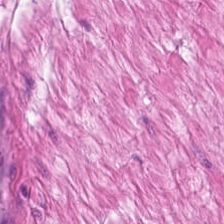H&E; 0.5 microns per pixel; 224×224 pixel tile.
Classification: smooth-muscle tissue.
